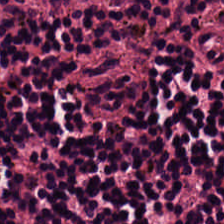Stain: hematoxylin and eosin.
Resolution: 0.5 µm/px.
Tissue type: lymphocyte aggregate.
